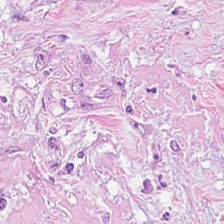H&E.
The tissue here is cancer-associated stroma.
